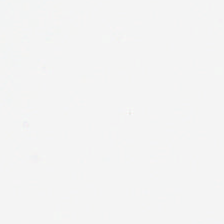Hematoxylin-and-eosin stained section — Background — no tissue in this field.
